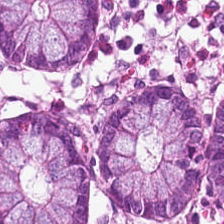H&E stain · 224×224 px patch — This patch shows normal colon mucosa.
